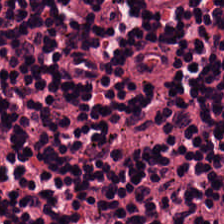Whole-slide-image patch. H&E. 0.5 µm per pixel — Classification — lymphocytic infiltrate.
